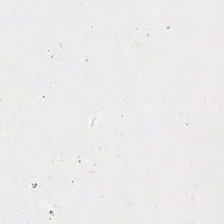0.5 µm/px. H&E. Empty field — empty background.
